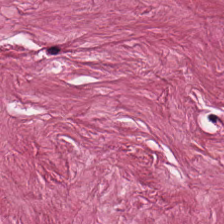Hematoxylin and eosin.
Finding → cancer-associated stroma.
